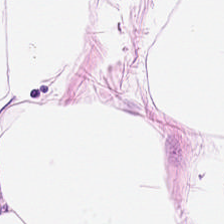Hematoxylin and eosin. FFPE — Q: What type of tissue is this?
A: It is adipose.
